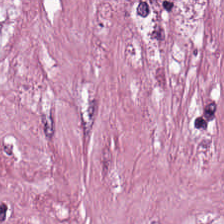The tissue is tumor-associated stroma.
